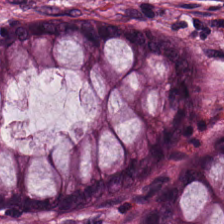Stain: H&E.
Tissue: normal colon mucosa.
